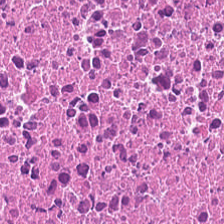Stain: H&E stain.
Classification: necrotic debris.
